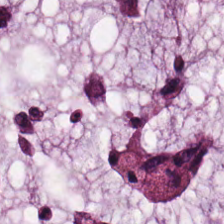H&E. Whole-slide-image patch. 0.5 µm/px.
Tissue = mucus.
